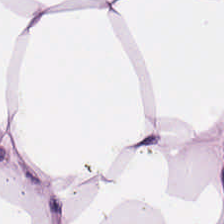FFPE tissue section; H&E stain; 0.5 µm/px.
Q: What is shown in this field?
A: The field shows adipose tissue.
